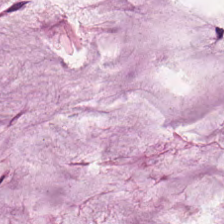This patch shows extracellular mucin.
